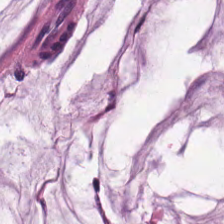H&E stain. This field is mucus.
